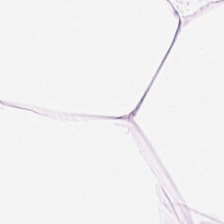Q: What tissue type is shown here?
A: It is adipose tissue.
